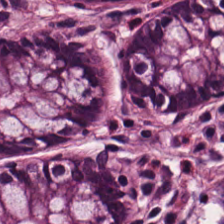H&E-stained tissue section. Q: Classify this patch.
A: Normal colonic mucosa.
